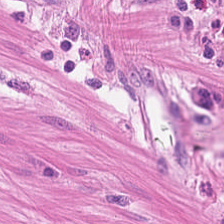Hematoxylin and eosin. Q: What tissue is shown?
A: Muscularis.
